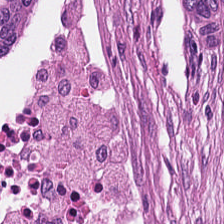H&E stain. Histology — malignant epithelium.
